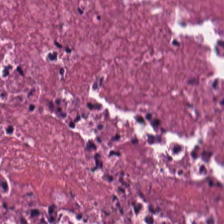Histology → debris.
